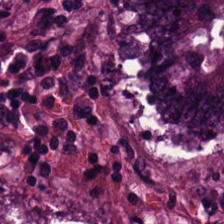Hematoxylin and eosin · WSI patch.
Predominantly adenocarcinoma.
